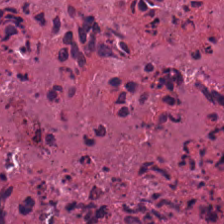Stain: hematoxylin-and-eosin stained section.
Tissue type: cellular debris.
